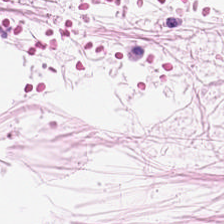H&E stain. 224×224 pixel tile — Q: What tissue type is shown here?
A: The field shows adipocytes.
